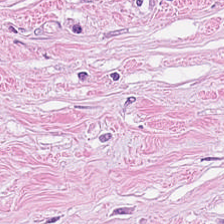0.5 µm/px; 224×224 pixel tile; hematoxylin and eosin. The predominant tissue is tumor stroma.
